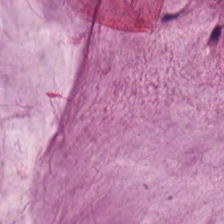Histology — extracellular mucin.
